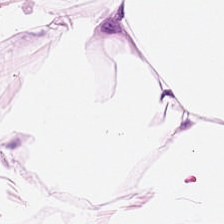Hematoxylin and eosin. Adipose.
